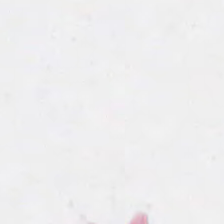Q: Classify this patch.
A: Background (no tissue).
